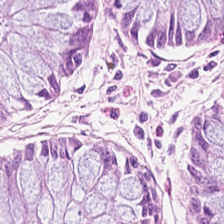Brightfield; H&E stain; 224×224 px tile.
Q: What tissue type is shown here?
A: Normal colon mucosa.
